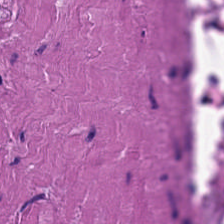H&E — Tissue: smooth-muscle tissue.
